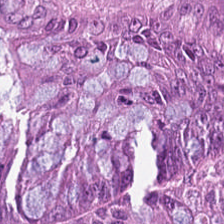H&E stain; 20× equivalent magnification.
Predominantly tumor epithelium.
